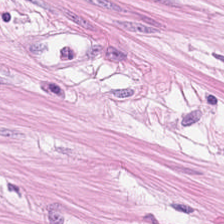Q: What tissue is shown?
A: This is muscularis.
